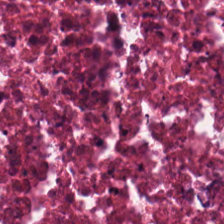Tissue: cellular debris.
